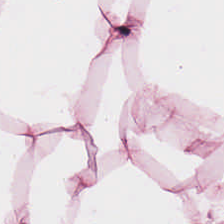H&E-stained tissue section.
Predominantly fat tissue.
